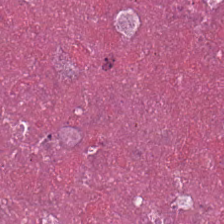224×224 px patch · hematoxylin and eosin · whole-slide-image patch. Predominantly cellular debris.
